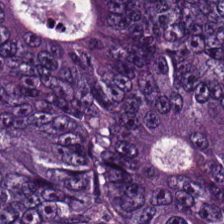WSI patch; 224×224 px patch; hematoxylin and eosin.
Q: What tissue is shown?
A: It is tumor epithelium.
